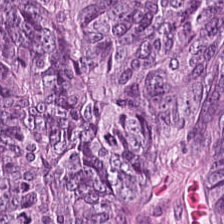Hematoxylin-and-eosin stained section.
The predominant tissue is malignant epithelium.
